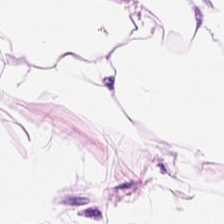H&E-stained tissue section · 0.5 µm/px.
Tissue — adipose.
